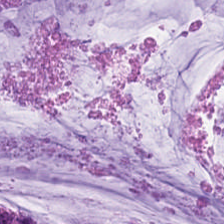Hematoxylin-and-eosin stained section · 20× equivalent magnification. Predominantly mucus.
